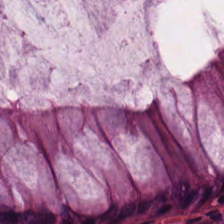0.5 µm per pixel; H&E-stained tissue section; brightfield. Q: What is shown in this field?
A: Non-neoplastic colon mucosa.
